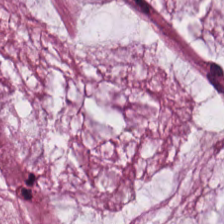H&E — Tissue — mucin.
